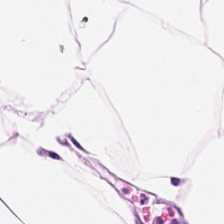H&E-stained tissue section. The tissue here is adipocytes.
